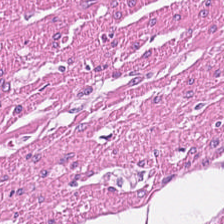Tissue type = smooth-muscle tissue.
